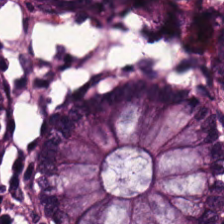H&E stain.
The tissue is normal colon mucosa.
